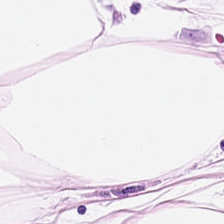Stain: H&E.
Predominant tissue: adipocytes.
